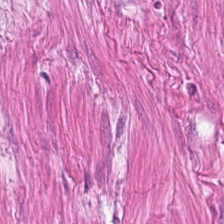H&E-stained tissue section. Impression → muscularis.
